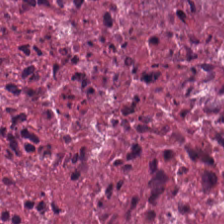H&E-stained tissue section.
Tissue type — cellular debris.
